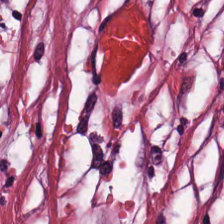Finding — tumor-associated stroma.
